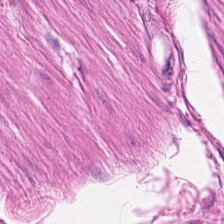H&E stain. Showing smooth-muscle tissue.
